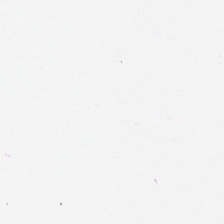H&E stain — The classification is background.
